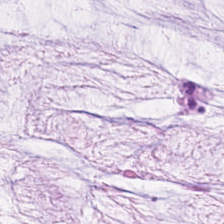Brightfield · 224×224 px patch · hematoxylin-and-eosin stained section — Showing mucin.
